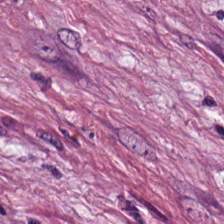H&E-stained tissue section; 224×224 pixel tile. Finding → tumor-associated stroma.
